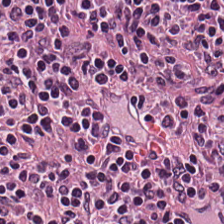H&E stain. The tissue here is lymphocytic infiltrate.
